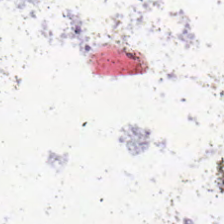Hematoxylin and eosin — Field content: empty background.
